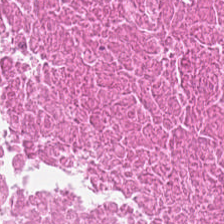FFPE · 20× equivalent magnification · H&E-stained tissue section — Predominantly debris.
